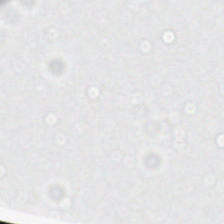Brightfield · H&E-stained tissue section.
Q: What is shown here?
A: Background.
